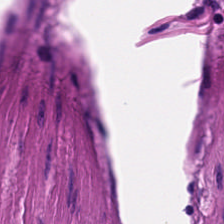{"tissue_type": "muscularis"}
